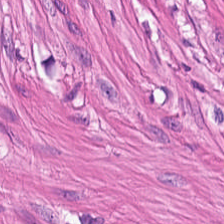H&E stain. This field is smooth-muscle tissue.
